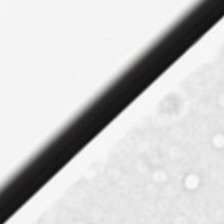H&E stain.
Background (no tissue).
